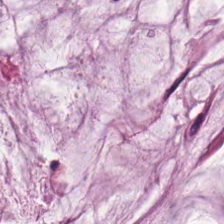Stain: H&E-stained tissue section.
Tissue: extracellular mucin.
